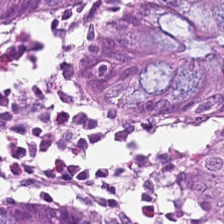Hematoxylin-and-eosin stained section.
This patch shows normal colonic mucosa.
